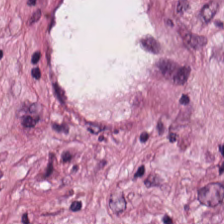H&E — Predominant tissue = tumor stroma.
